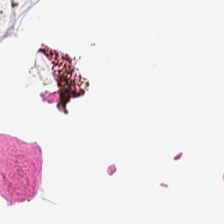Q: What does this patch show?
A: The field shows no tissue.
